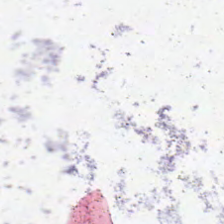H&E. The content is no tissue.
